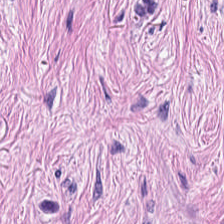H&E — Predominantly cancer-associated stroma.
